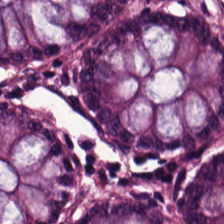{"tissue_type": "non-neoplastic colon mucosa"}
